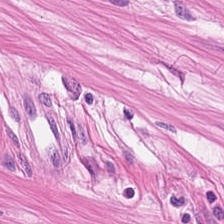FFPE tissue section · brightfield microscopy · hematoxylin and eosin. Showing smooth-muscle tissue.
